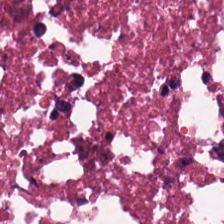This patch shows necrotic debris.
